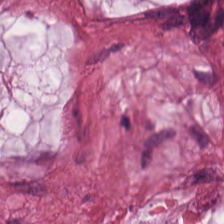Hematoxylin and eosin — The predominant tissue is extracellular mucin.
